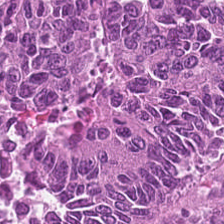H&E stain. Predominant tissue = colorectal adenocarcinoma epithelium.
